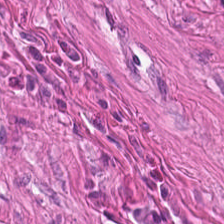Predominantly smooth muscle.
